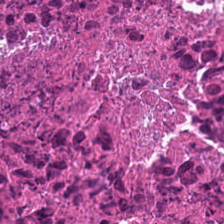H&E-stained section; the field shows cellular debris.
